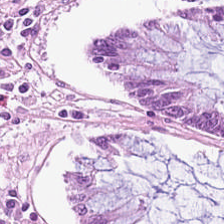H&E stain. Formalin-fixed paraffin-embedded section — Histology → normal colonic mucosa.
